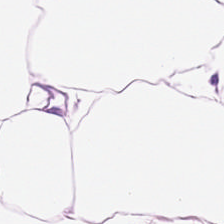Classification: fat tissue.
